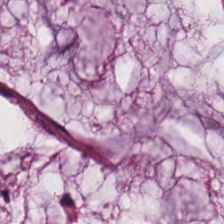FFPE tissue section · hematoxylin-and-eosin stained section.
Q: What is the predominant tissue type?
A: It is extracellular mucin.
